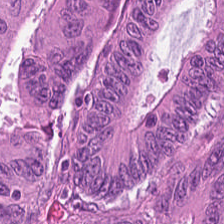H&E-stained tissue section — Colorectal adenocarcinoma.
